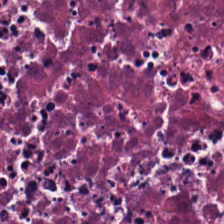Stain: H&E.
Tissue type: cellular debris.
